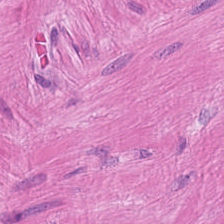The predominant tissue is muscularis.
